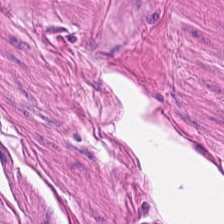H&E; 224×224 px patch; FFPE tissue section. Impression — muscularis.
